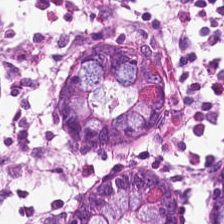Hematoxylin-and-eosin stained section.
The predominant tissue is normal colon mucosa.
